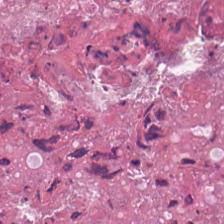Brightfield microscopy · H&E — The tissue here is debris.
